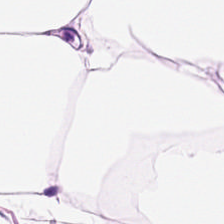Hematoxylin and eosin. Predominant tissue — fat tissue.
